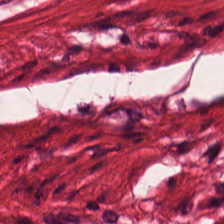FFPE. H&E-stained tissue section. 0.5 µm per pixel — {"tissue_type": "smooth-muscle tissue"}
